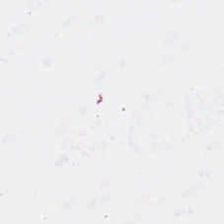H&E-stained tissue section — The classification is background.
